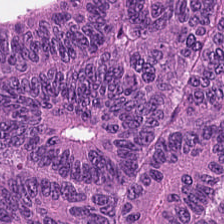This field is colorectal adenocarcinoma epithelium.
